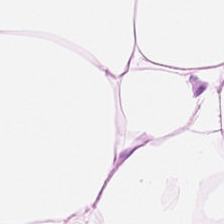Hematoxylin-and-eosin stained section — This patch shows adipocytes.
